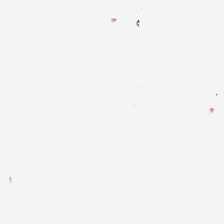Hematoxylin and eosin. Empty field — background.
